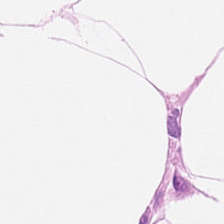Stain: H&E stain.
Predominant tissue: adipose.
